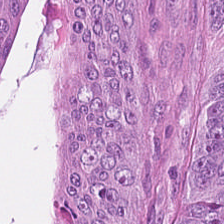Hematoxylin-and-eosin section: colorectal adenocarcinoma epithelium.
